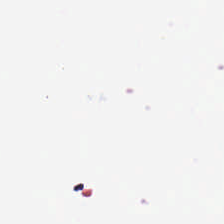Hematoxylin-and-eosin stained section. 224×224 px tile. {"content": "background"}
